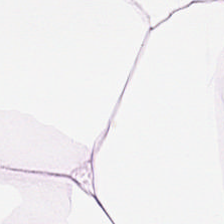H&E. Tissue type: adipose tissue.
